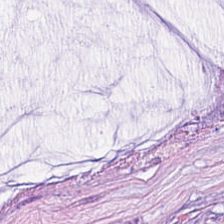H&E-stained tissue section — Q: Classify this patch.
A: This is mucus.
